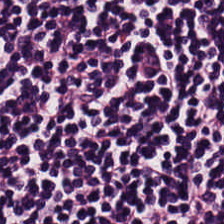Hematoxylin-and-eosin stained section.
Classification — lymphocyte aggregate.
